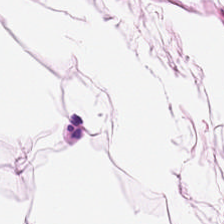Hematoxylin and eosin. Q: What tissue is shown?
A: This is adipose.
